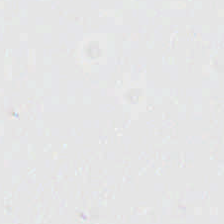No tissue.
